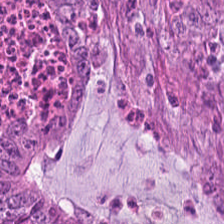FFPE tissue section · hematoxylin-and-eosin stained section — Q: What is shown here?
A: Colorectal adenocarcinoma epithelium.
